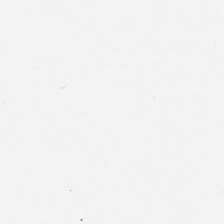224×224 px tile; H&E-stained tissue section. No tissue present; background only.
